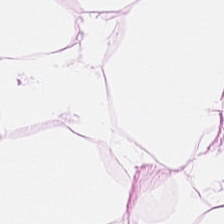FFPE. Brightfield microscopy. Hematoxylin and eosin. The tissue is adipose.
